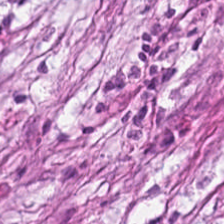H&E stain — Q: What is shown here?
A: It is tumor stroma.
